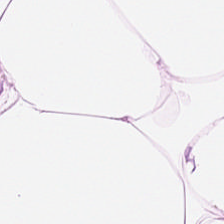Hematoxylin and eosin.
This patch shows adipose.
